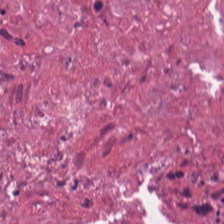Stain: hematoxylin and eosin.
Tile size: 224×224 px patch.
Preparation: FFPE.
Classification: necrotic debris.
